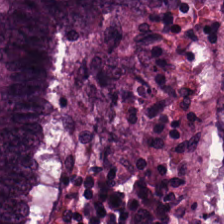Stain: H&E-stained tissue section.
Acquisition: brightfield.
Tissue: malignant epithelium.
